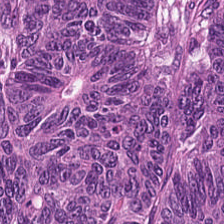H&E · 224×224 px tile. Showing colorectal adenocarcinoma epithelium.
